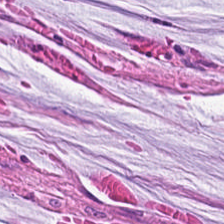Hematoxylin-and-eosin stained section. The classification is extracellular mucin.
